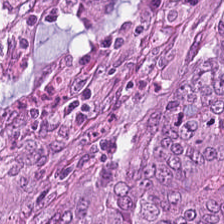Stain: H&E stain.
Tile size: 224×224 px patch.
Acquisition: brightfield.
Tissue: tumor epithelium.
